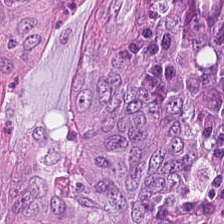H&E; brightfield microscopy — Showing colorectal adenocarcinoma epithelium.
